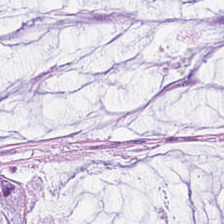Tissue: extracellular mucin.
